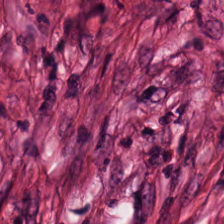This field is tumor-associated stroma.
